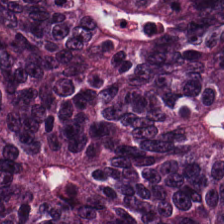H&E stain.
The tissue here is colorectal adenocarcinoma epithelium.
